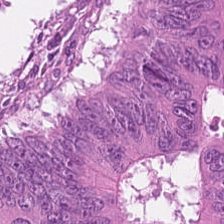224×224 pixel tile. Hematoxylin-and-eosin stained section. Whole-slide-image patch. Histology — malignant epithelium.
